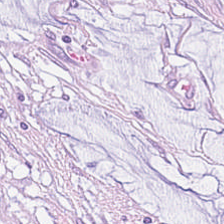This field is mucin.
